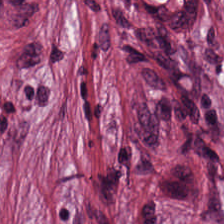Stain: H&E-stained tissue section.
Predominant tissue: tumor-associated stroma.
